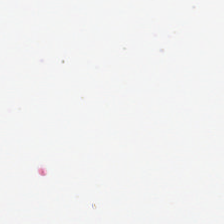Stain: hematoxylin and eosin.
Tile size: 224×224 pixel tile.
Content: empty background.
